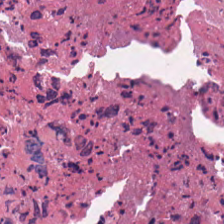H&E-stained tissue section — Predominant tissue = debris.
